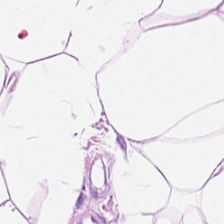Showing adipose.
